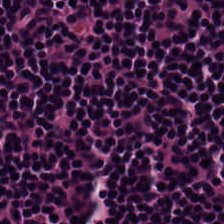H&E stain. This field is lymphocytes.
